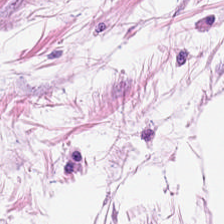H&E.
This patch shows adipose.
